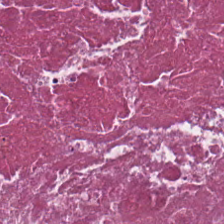Tissue class — cellular debris.
